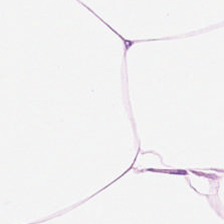Hematoxylin and eosin · FFPE. Finding → adipocytes.
